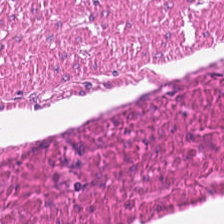H&E — Q: What tissue type is shown here?
A: The field shows smooth muscle.
